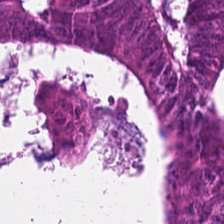Impression → colorectal adenocarcinoma epithelium.
